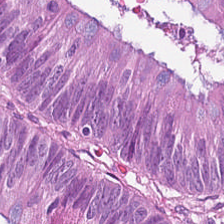H&E — Q: What tissue type is shown here?
A: The field shows colorectal adenocarcinoma epithelium.
